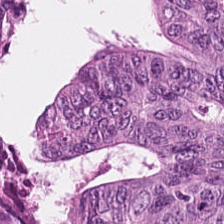Stain: hematoxylin and eosin.
Tile size: 224×224 px tile.
Resolution: 0.5 µm per pixel.
Predominant tissue: colorectal adenocarcinoma epithelium.
